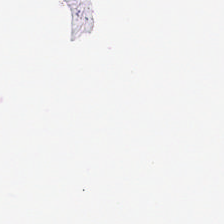Histology → empty background.
